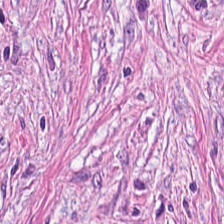Showing cancer-associated stroma.
